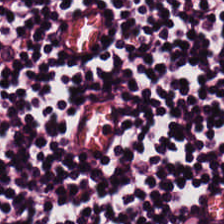Hematoxylin-and-eosin stained section — This patch shows lymphocytic infiltrate.
